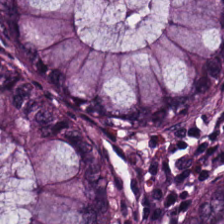Hematoxylin and eosin. Predominant tissue: benign colonic mucosa.
